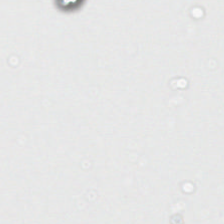Hematoxylin-and-eosin stained section. 0.5 microns per pixel.
This field is background (no tissue).
